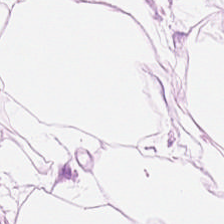20× equivalent magnification. H&E stain — Predominantly adipose.
